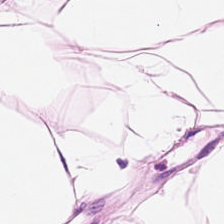Predominant tissue = adipose.
